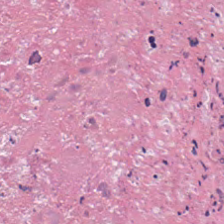H&E stain · brightfield. The predominant tissue is cellular debris.
